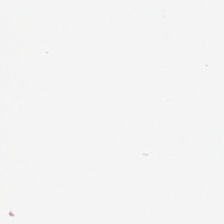H&E.
This patch shows background (no tissue).
